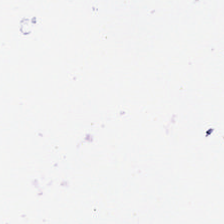H&E-stained tissue section.
Empty background.
